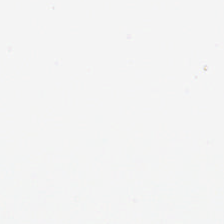H&E stain. 224×224 px tile — Classification = background.
